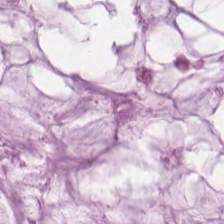Hematoxylin and eosin.
Q: What does this patch show?
A: The field shows mucus.
